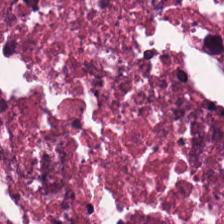Stain: H&E-stained tissue section.
Tile size: 224×224 px tile.
Tissue class: debris.
